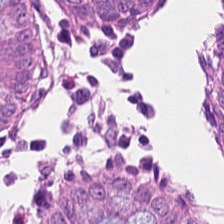H&E-stained tissue section; 224×224 px patch; FFPE tissue section. Normal colonic mucosa.
